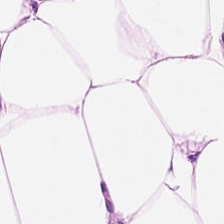H&E. 0.5 microns per pixel. 224×224 pixel tile. The tissue class is adipose.
